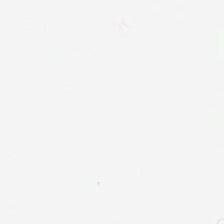No tissue present; background only.
